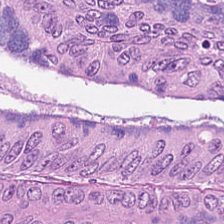H&E stain — Predominantly colorectal adenocarcinoma.
